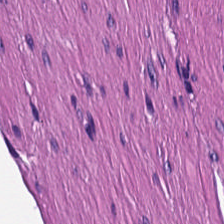Stain: H&E.
Tissue type: smooth muscle.
